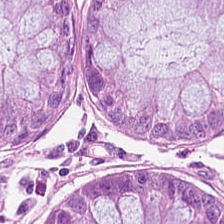Stain: H&E-stained tissue section.
Tile size: 224×224 px patch.
Resolution: 20× equivalent magnification.
Predominant tissue: benign colonic mucosa.
